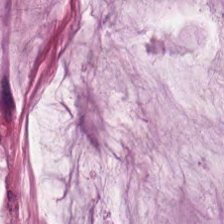Q: What tissue type is shown here?
A: Mucus.
